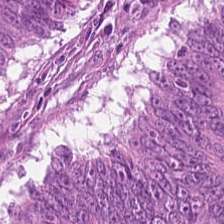This field is colorectal adenocarcinoma epithelium.
